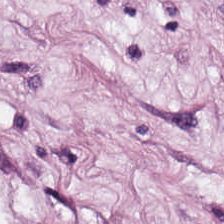H&E — This patch shows adipose.
